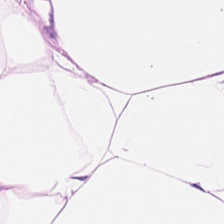H&E-stained section; the field shows adipose.
